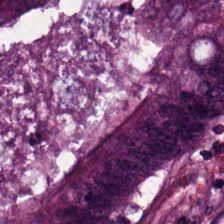Stain: hematoxylin and eosin.
Tissue: colorectal adenocarcinoma epithelium.
